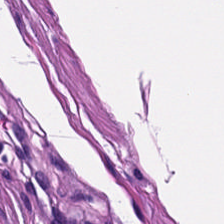H&E-stained tissue section — Impression → muscularis.
